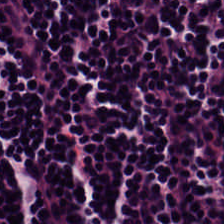Finding — lymphocytes.
